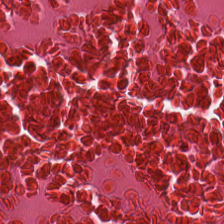Stain: hematoxylin-and-eosin stained section.
Classification: necrotic debris.
